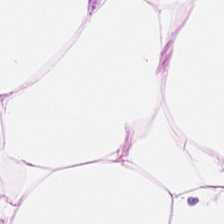Finding — adipose.
